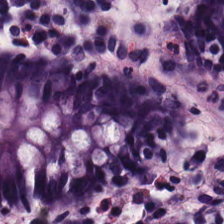Classification — normal colon mucosa.
